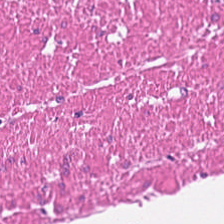Hematoxylin-and-eosin stained section. This patch shows smooth muscle.
